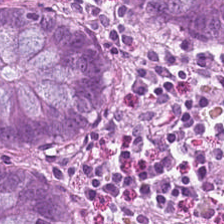224×224 px tile. WSI patch. Hematoxylin-and-eosin stained section.
Tissue = non-neoplastic colon mucosa.
